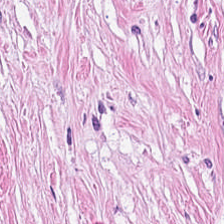H&E stain — The tissue here is tumor-associated stroma.
